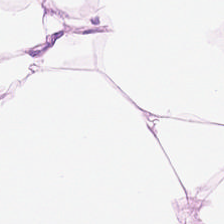224×224 px tile. H&E-stained tissue section — Predominantly fat tissue.
